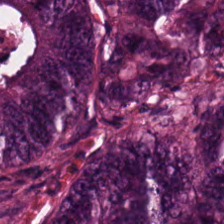H&E-stained tissue section.
Showing adenocarcinoma.
